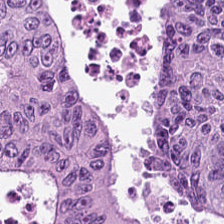Hematoxylin and eosin. Classification = colorectal adenocarcinoma.
